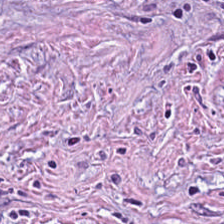H&E-stained tissue section. Brightfield. The tissue here is tumor-associated stroma.
